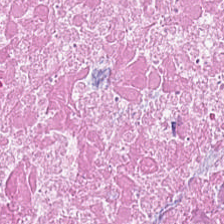Hematoxylin and eosin. Formalin-fixed paraffin-embedded section.
Histology — necrotic debris.
